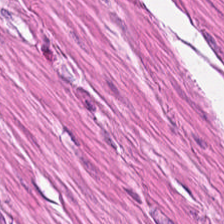H&E stain. The tissue type is muscularis.
